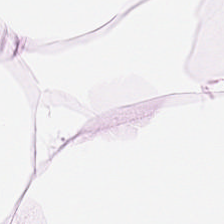H&E.
Adipose.
